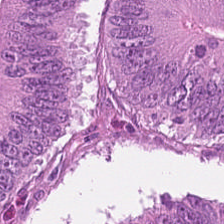Hematoxylin-and-eosin stained section — Predominantly tumor epithelium.
